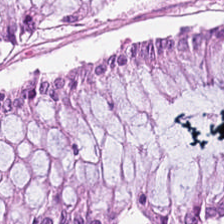Impression → benign colonic mucosa.
